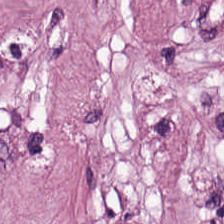0.5 µm/px · whole-slide-image patch · H&E — Q: What tissue type is shown here?
A: This is tumor stroma.
